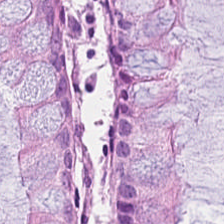Hematoxylin-and-eosin stained section. Brightfield.
Impression — normal colonic mucosa.
